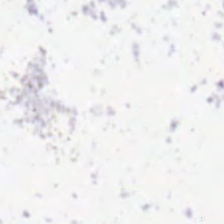Hematoxylin-and-eosin stained section.
Empty field — no tissue.
